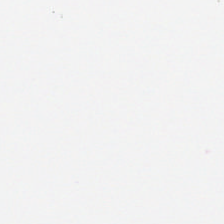H&E · 224×224 pixel tile · FFPE. No tissue present; background only.
